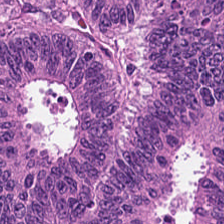The classification is tumor epithelium.
